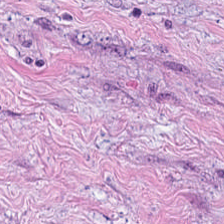Hematoxylin-and-eosin stained section — This field is tumor stroma.
